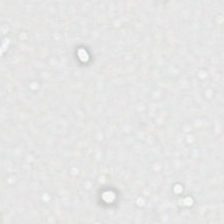H&E stain. This patch shows background (no tissue).
